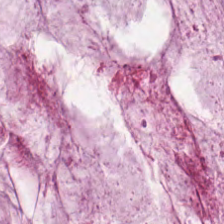224×224 pixel tile. 0.5 microns per pixel. H&E. Q: What is shown in this field?
A: This is mucus.
